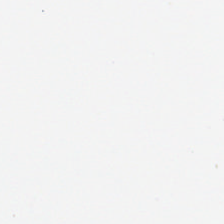H&E — This field is background (no tissue).
